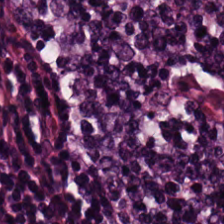H&E-stained tissue section; brightfield. {"tissue_type": "lymphocytes"}
